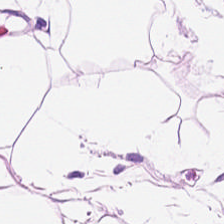H&E patch showing adipose tissue.
